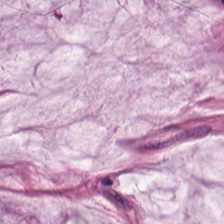{"tissue_type": "mucin"}
